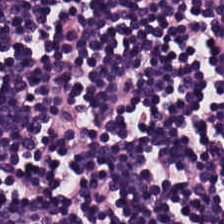Stain: hematoxylin and eosin.
Tile size: 224×224 pixel tile.
Classification: lymphocytic infiltrate.
